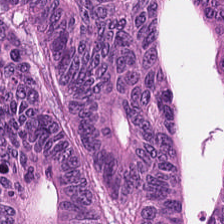H&E. Predominantly colorectal adenocarcinoma epithelium.
